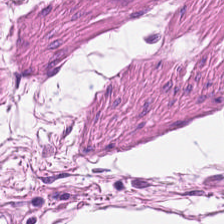H&E-stained tissue section.
{"tissue_type": "smooth muscle"}
